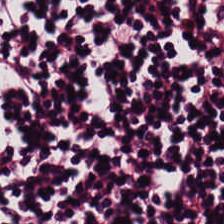Tissue class: lymphocytic infiltrate.
